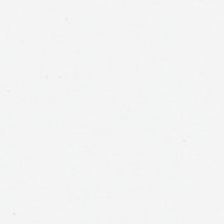Stain: H&E-stained tissue section.
Field content: background.
